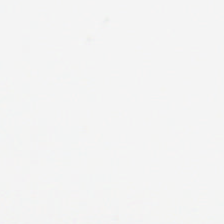0.5 microns per pixel. H&E-stained tissue section — Empty field — background.
